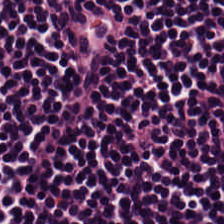WSI patch. Hematoxylin and eosin. 20× equivalent magnification.
{"tissue_type": "lymphoid infiltrate"}
